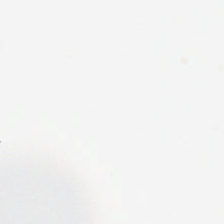Formalin-fixed paraffin-embedded section · brightfield microscopy · H&E stain.
This patch shows empty background.
